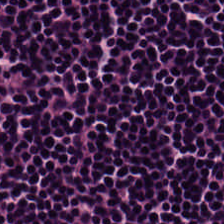H&E · whole-slide-image patch. Predominant tissue — lymphocyte aggregate.
